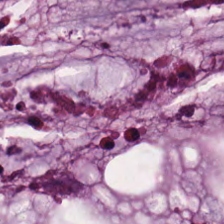Hematoxylin and eosin — Extracellular mucin.
